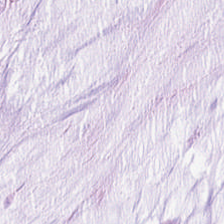Hematoxylin and eosin · FFPE tissue section.
The tissue is extracellular mucin.
